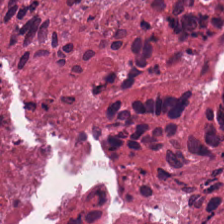{"tissue_type": "cellular debris"}
